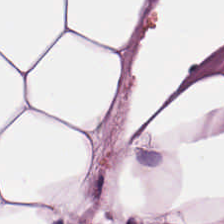Stain: hematoxylin and eosin.
Predominant tissue: adipose.
